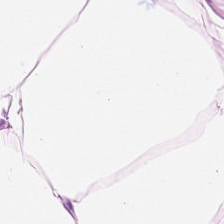0.5 µm/px · H&E stain. Predominantly fat tissue.
